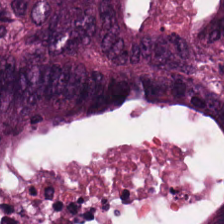Hematoxylin and eosin — Predominantly colorectal adenocarcinoma epithelium.
